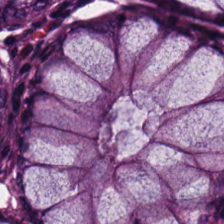Stain: hematoxylin-and-eosin stained section.
Predominant tissue: normal colonic mucosa.
